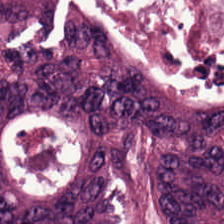H&E. Brightfield. FFPE tissue section.
Colorectal adenocarcinoma epithelium.
